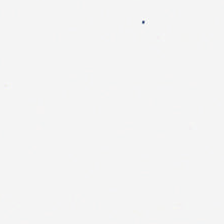Finding → no tissue.
